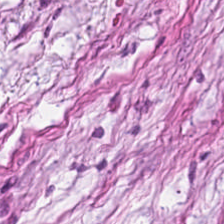H&E stain; formalin-fixed paraffin-embedded section. Desmoplastic stroma.
